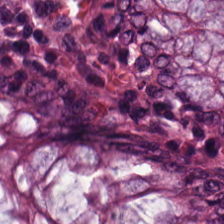Brightfield · H&E-stained tissue section — Tissue — normal colonic mucosa.
